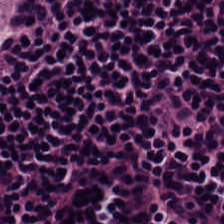224×224 pixel tile; H&E; formalin-fixed paraffin-embedded section.
Finding — lymphoid infiltrate.
